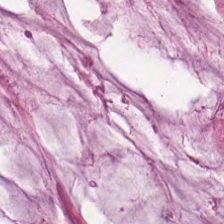Brightfield · hematoxylin and eosin · 20× equivalent magnification. Histology → mucus.
